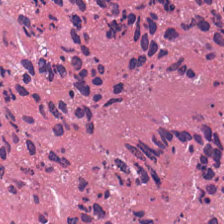Q: What tissue type is shown here?
A: It is cellular debris.
